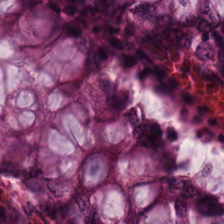H&E-stained tissue section.
Tissue = normal colonic mucosa.
